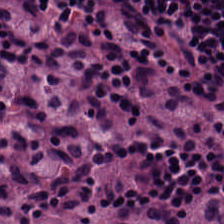Histology → lymphocytes.
